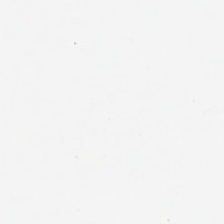Impression — no tissue.
